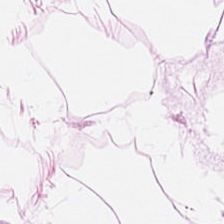Stain: H&E stain.
Classification: adipose tissue.
